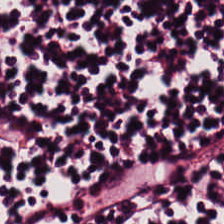H&E-stained section; the field shows lymphocytes.
